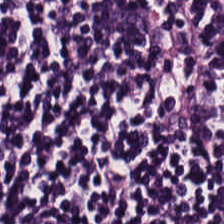H&E stain.
Histology — lymphocytic infiltrate.
